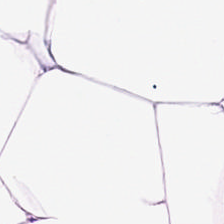Stain: hematoxylin and eosin.
Resolution: 0.5 microns per pixel.
Preparation: FFPE.
Classification: adipose tissue.
